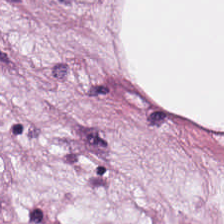Brightfield microscopy; hematoxylin and eosin; 224×224 px tile. Showing adipocytes.
